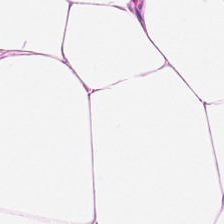Stain: hematoxylin and eosin.
Tissue class: adipocytes.
